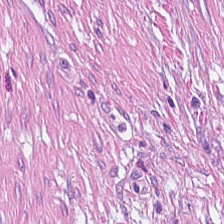H&E patch showing cancer-associated stroma.
